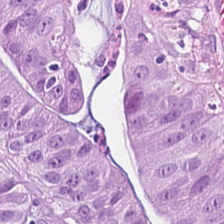0.5 µm/px. H&E. Malignant epithelium.
